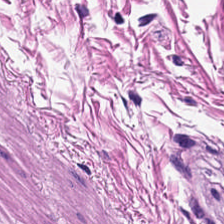Hematoxylin-and-eosin section: smooth-muscle tissue.
